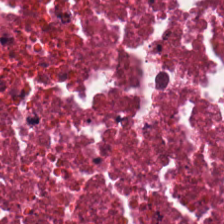Stain: H&E stain.
Resolution: 0.5 µm per pixel.
Tissue class: cellular debris.
